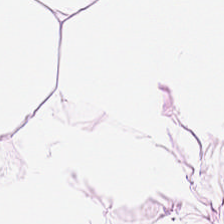WSI patch. Hematoxylin-and-eosin stained section — The tissue here is adipocytes.
